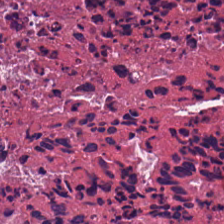H&E stain · 0.5 µm per pixel. This patch shows debris.
